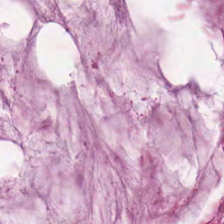0.5 microns per pixel. FFPE tissue section. Hematoxylin-and-eosin stained section.
Classification — mucin.
